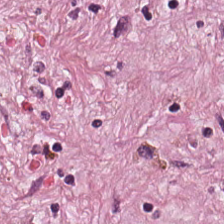Hematoxylin and eosin — Tissue type: tumor-associated stroma.
